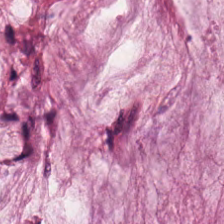Hematoxylin-and-eosin stained section — This field is mucus.
